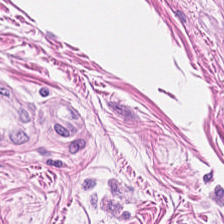H&E-stained tissue section — {"tissue_type": "smooth-muscle tissue"}
